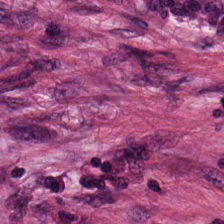This field is tumor stroma.
